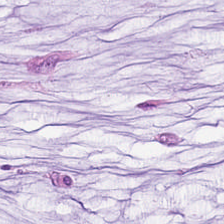Hematoxylin-and-eosin stained section; WSI patch.
The predominant tissue is extracellular mucin.
